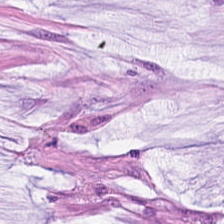Hematoxylin-and-eosin stained section — Tissue — extracellular mucin.
